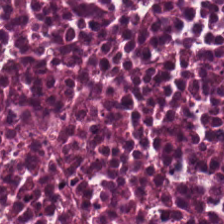H&E-stained tissue section.
The predominant tissue is necrotic debris.
